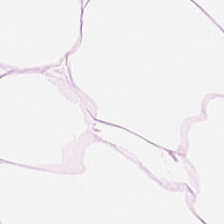H&E stain.
{"tissue_type": "adipocytes"}
